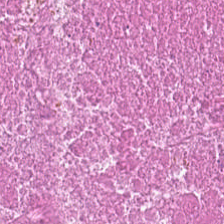Whole-slide-image patch · H&E. Showing debris.
